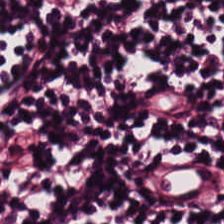Formalin-fixed paraffin-embedded section; H&E stain. {"tissue_type": "lymphocytes"}
